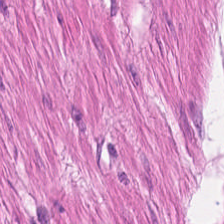H&E stain. Tissue — muscularis.
